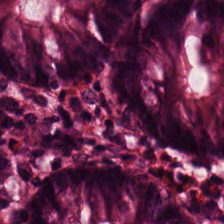H&E-stained tissue section.
The predominant tissue is normal colon mucosa.
